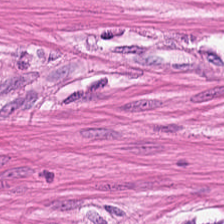Hematoxylin and eosin. WSI patch — The tissue class is smooth muscle.
